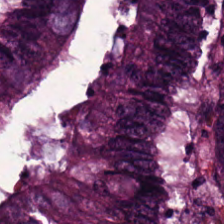Hematoxylin and eosin; 0.5 µm/px; whole-slide-image patch — Showing tumor epithelium.
